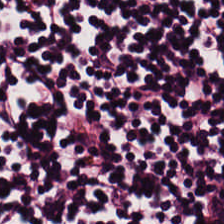H&E-stained tissue section — The predominant tissue is lymphocytic infiltrate.
